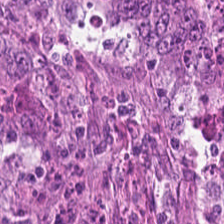H&E-stained tissue section; 0.5 microns per pixel; 224×224 px patch — Impression → colorectal adenocarcinoma.
